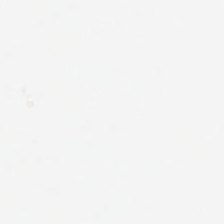H&E stain — Field content = empty background.
